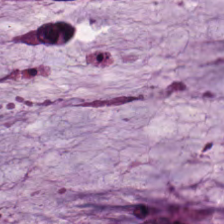Q: What is the predominant tissue type?
A: It is mucus.
